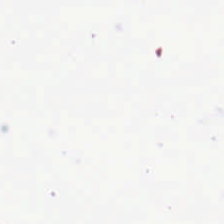Brightfield; hematoxylin and eosin.
Background.
